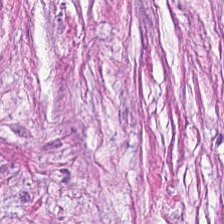Hematoxylin and eosin. 0.5 µm/px. Showing tumor-associated stroma.
